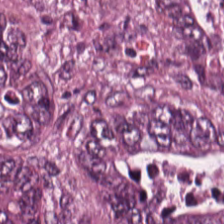Hematoxylin and eosin.
The tissue is tumor epithelium.
